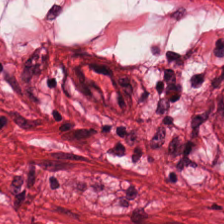H&E-stained tissue section · 0.5 µm per pixel.
Classification = smooth-muscle tissue.
